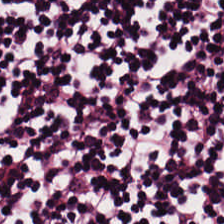Hematoxylin and eosin; 224×224 pixel tile.
Histology — lymphocyte aggregate.
